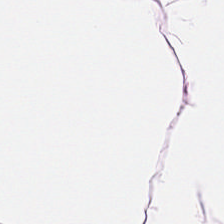224×224 pixel tile; H&E-stained tissue section — Tissue = adipose tissue.
